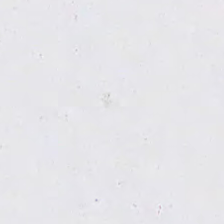Stain: hematoxylin and eosin.
Acquisition: brightfield microscopy.
Field content: background.
